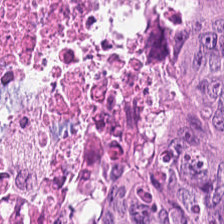H&E-stained tissue section — This patch shows malignant epithelium.
